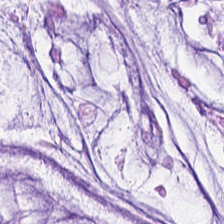Mucin.
